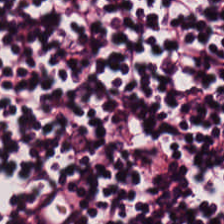H&E stain; formalin-fixed paraffin-embedded section. The tissue here is lymphocytic infiltrate.
